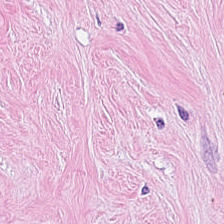FFPE; H&E stain; 224×224 px patch. The predominant tissue is cancer-associated stroma.
